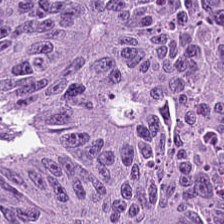Q: What tissue type is shown here?
A: Adenocarcinoma.
